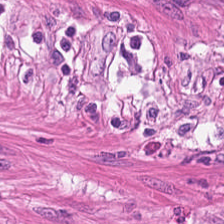Whole-slide-image patch; H&E stain — The tissue is smooth-muscle tissue.
